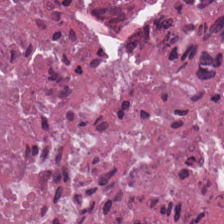224×224 px patch; hematoxylin and eosin. The predominant tissue is necrotic debris.
